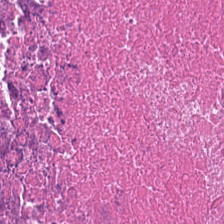224×224 px tile. Hematoxylin-and-eosin stained section — This field is necrotic debris.
